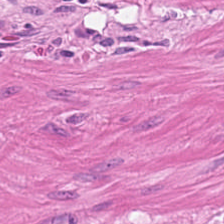Stain: hematoxylin and eosin.
Tissue type: smooth muscle.
